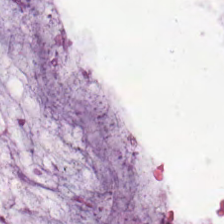Hematoxylin-and-eosin stained section. Benign colonic mucosa.
